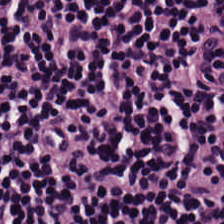0.5 µm per pixel. H&E. FFPE tissue section. The predominant tissue is lymphoid infiltrate.
